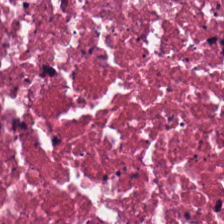H&E stain. {"tissue_type": "necrotic debris"}
